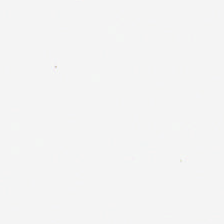H&E-stained tissue section · FFPE tissue section · whole-slide-image patch — No tissue present; background only.
